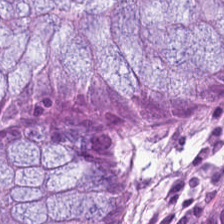Stain: hematoxylin and eosin.
Classification: normal colon mucosa.
